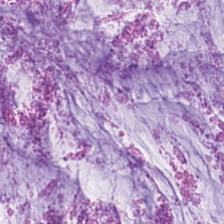H&E-stained tissue section. Predominant tissue: extracellular mucin.
